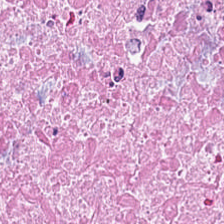Hematoxylin and eosin. Finding → cellular debris.
